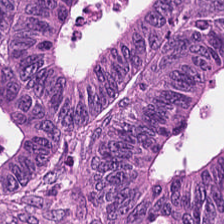Impression — malignant epithelium.
